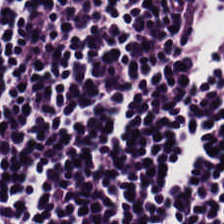H&E stain — The tissue here is lymphoid infiltrate.
